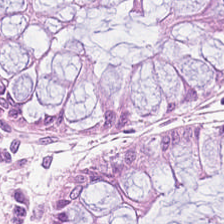H&E-stained tissue section. Histology — non-neoplastic colon mucosa.
